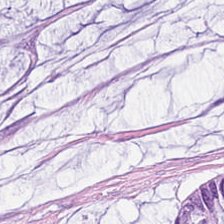Hematoxylin and eosin; FFPE tissue section.
Extracellular mucin.
